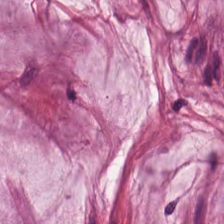Hematoxylin-and-eosin stained section — Tissue class: mucin.
